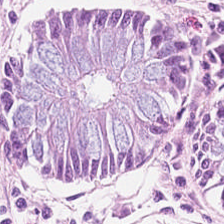Whole-slide-image patch · hematoxylin-and-eosin stained section.
The tissue here is normal colonic mucosa.
